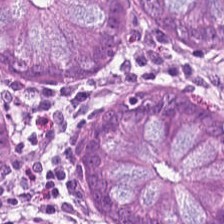Q: What is shown here?
A: It is non-neoplastic colon mucosa.
